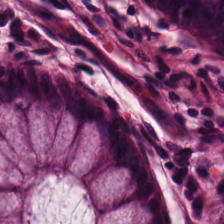H&E stain. The tissue is normal colonic mucosa.
